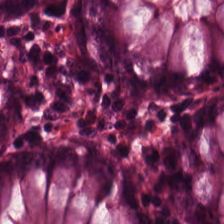H&E patch showing benign colonic mucosa.
